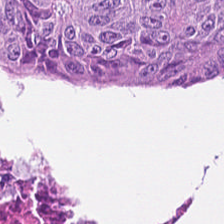Impression — tumor epithelium.
